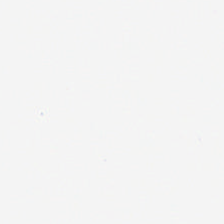This patch shows background.
